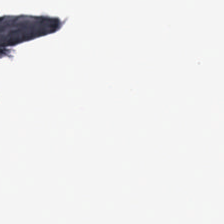H&E.
Background.
